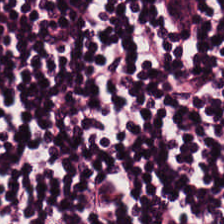Stain: hematoxylin-and-eosin stained section.
Tissue: lymphocyte aggregate.
